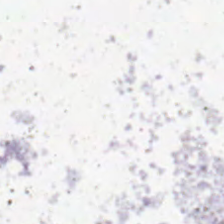H&E — Field content = no tissue.
